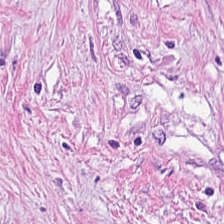H&E — Predominant tissue = cancer-associated stroma.
